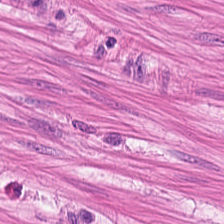224×224 px tile; WSI patch; H&E-stained tissue section — Smooth muscle.
